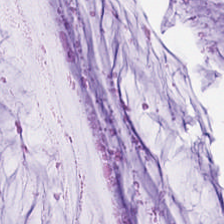H&E.
The predominant tissue is mucus.
